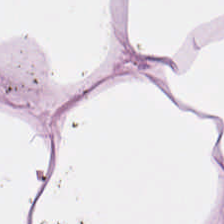224×224 px patch. Formalin-fixed paraffin-embedded section. Hematoxylin and eosin.
The classification is adipose.
